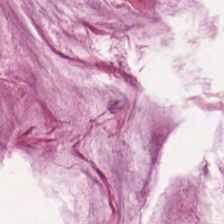Brightfield · hematoxylin-and-eosin stained section. Q: Identify the tissue.
A: This is extracellular mucin.
